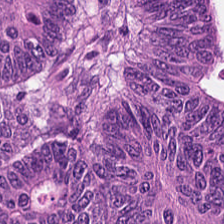Stain: H&E stain.
Tile size: 224×224 px tile.
Tissue: colorectal adenocarcinoma.
